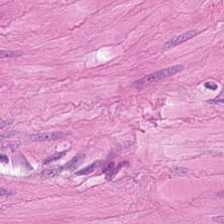Brightfield microscopy; FFPE; hematoxylin and eosin. The tissue class is smooth muscle.
